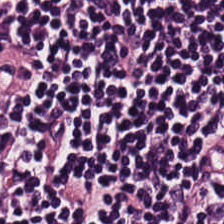224×224 px tile. Hematoxylin and eosin — {"tissue_type": "lymphoid infiltrate"}
